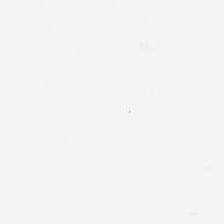H&E stain — The classification is background.
